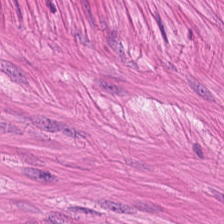H&E-stained tissue section · 0.5 µm/px. Impression — smooth muscle.
